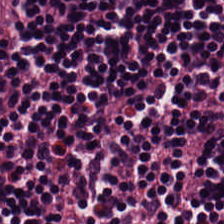Hematoxylin-and-eosin stained section; WSI patch. Tissue: lymphocyte aggregate.
